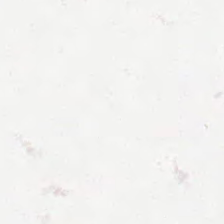Hematoxylin-and-eosin stained section.
Q: What is shown in this field?
A: It is background (no tissue).
